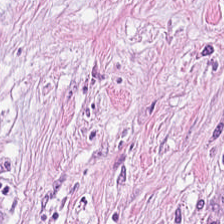This patch shows desmoplastic stroma.
